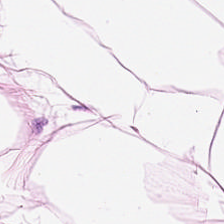20× equivalent magnification. H&E-stained tissue section. Brightfield microscopy.
Adipose tissue.
